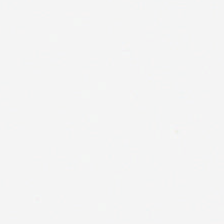Formalin-fixed paraffin-embedded section. Hematoxylin and eosin. Content: background.
